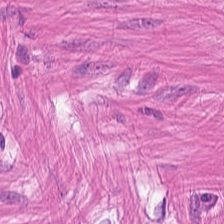H&E stain — Showing smooth-muscle tissue.
